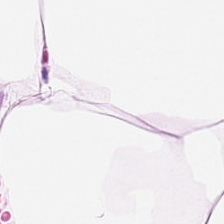Fat tissue.
